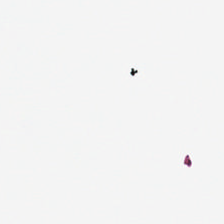Brightfield microscopy. 224×224 px tile. H&E. {"content": "background (no tissue)"}
